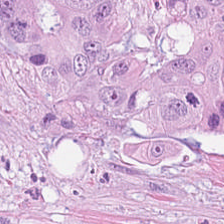H&E — The tissue type is colorectal adenocarcinoma.
